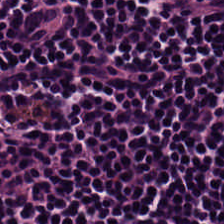Stain: hematoxylin-and-eosin stained section.
Predominant tissue: lymphocyte aggregate.
